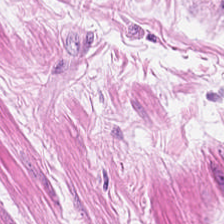224×224 pixel tile · H&E — The predominant tissue is smooth muscle.
